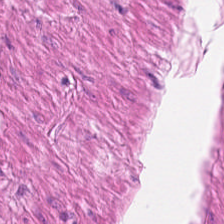Smooth muscle.
